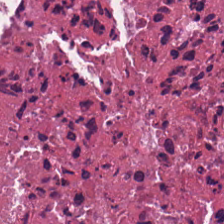0.5 µm per pixel · hematoxylin-and-eosin stained section · FFPE.
Q: What is shown here?
A: The field shows debris.
